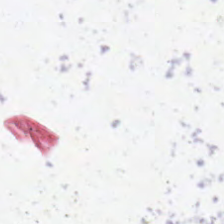Stain: H&E.
Acquisition: brightfield.
Tile size: 224×224 px patch.
Classification: empty background.
